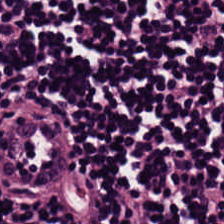H&E; 224×224 pixel tile.
This field is lymphocyte aggregate.
